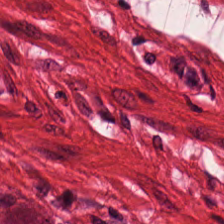H&E stain · whole-slide-image patch · formalin-fixed paraffin-embedded section. This field is smooth muscle.
